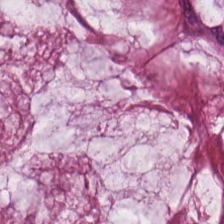Finding → mucus.
